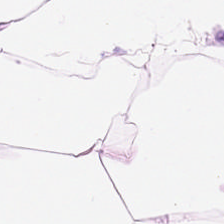The tissue is adipose.
